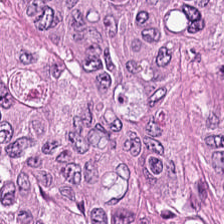Colorectal adenocarcinoma.
